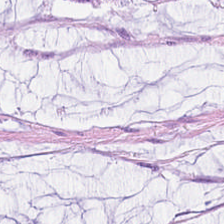H&E — mucus.
